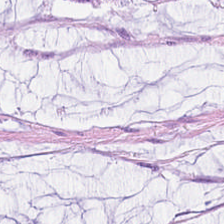H&E — mucus.
